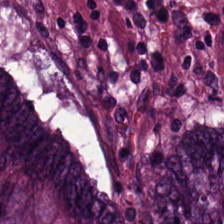Hematoxylin-and-eosin stained section.
Predominantly adenocarcinoma.
